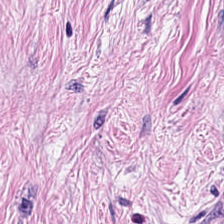Stain: hematoxylin and eosin.
Acquisition: WSI patch.
Tissue: cancer-associated stroma.
